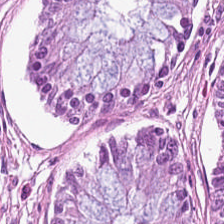0.5 µm/px. Hematoxylin-and-eosin stained section. 224×224 px patch — Q: Identify the tissue.
A: The field shows benign colonic mucosa.
